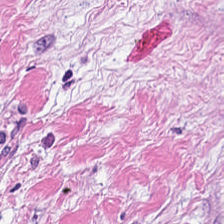FFPE tissue section · H&E stain — The tissue here is desmoplastic stroma.
